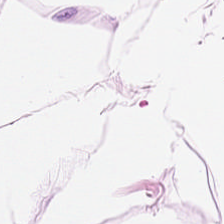H&E-stained tissue section. Showing fat tissue.
